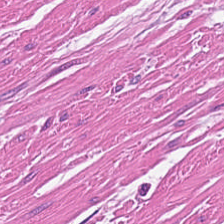The predominant tissue is smooth muscle.
